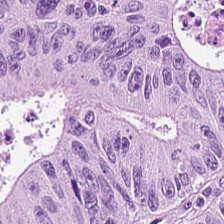H&E — Q: What does this patch show?
A: The field shows malignant epithelium.
